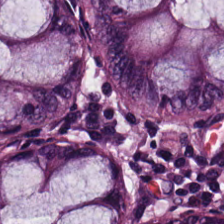Q: Identify the tissue.
A: The field shows normal colon mucosa.
